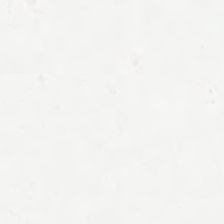0.5 µm per pixel; hematoxylin-and-eosin stained section; FFPE.
Background — no tissue in this field.
